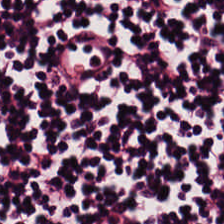224×224 px patch. 0.5 µm per pixel. H&E-stained tissue section — Histology — lymphocytes.
